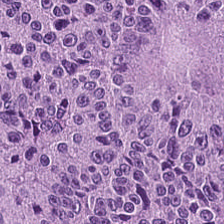224×224 px patch; H&E.
The tissue here is adenocarcinoma.
